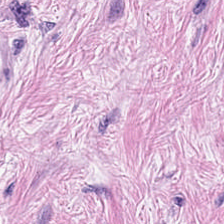H&E — This patch shows cancer-associated stroma.
